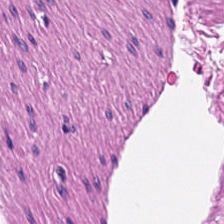H&E-stained tissue section.
Q: What type of tissue is this?
A: This is smooth muscle.
